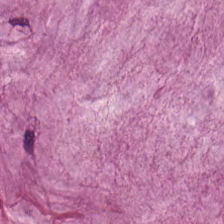Brightfield · H&E stain · 224×224 pixel tile — The tissue here is mucin.
